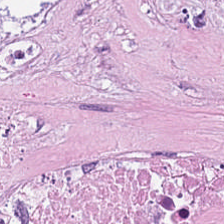Hematoxylin and eosin · FFPE — Showing cellular debris.
